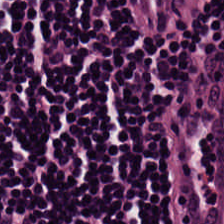H&E stain. Predominantly lymphocyte aggregate.
